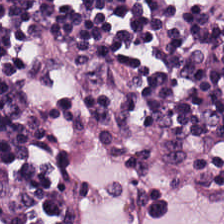0.5 microns per pixel · formalin-fixed paraffin-embedded section · H&E-stained tissue section.
Finding — lymphocytes.
